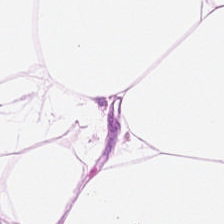Stain: hematoxylin-and-eosin stained section.
Tissue type: adipose tissue.
